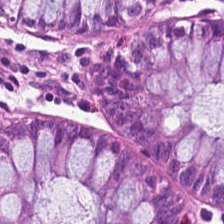Hematoxylin-and-eosin stained section; WSI patch — Non-neoplastic colon mucosa.
